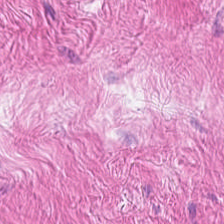Q: What does this patch show?
A: It is smooth-muscle tissue.
